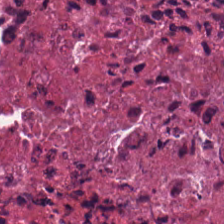224×224 px patch; H&E stain — The tissue is cellular debris.
